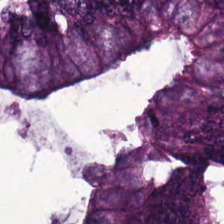Tissue type — adenocarcinoma.
